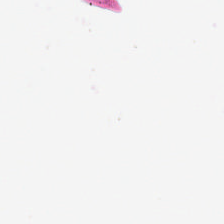Finding → background (no tissue).
